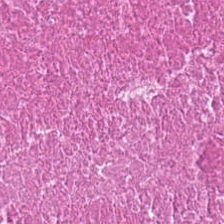Tissue — debris.
